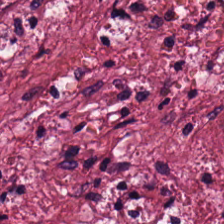Hematoxylin and eosin. Brightfield. This patch shows tumor-associated stroma.
